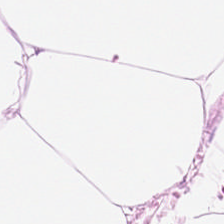Stain: hematoxylin and eosin.
Tissue: fat tissue.
